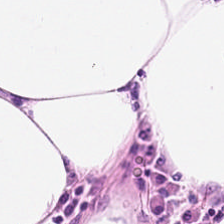Stain: H&E stain.
Classification: adipose tissue.
